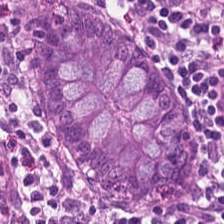224×224 px tile. Hematoxylin-and-eosin stained section. WSI patch.
Predominant tissue = non-neoplastic colon mucosa.
